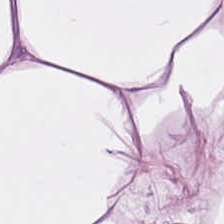Whole-slide-image patch · 20× equivalent magnification · hematoxylin and eosin. The classification is fat tissue.
